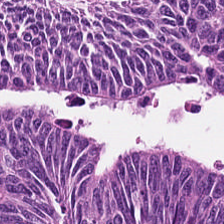H&E; 224×224 pixel tile — This field is tumor epithelium.
